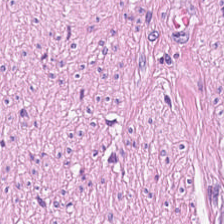Whole-slide-image patch. H&E stain. 0.5 µm/px — Histology → smooth muscle.
